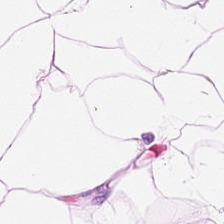H&E — Q: What is shown in this field?
A: Fat tissue.
